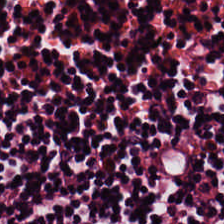Hematoxylin-and-eosin stained section.
This field is lymphocyte aggregate.
